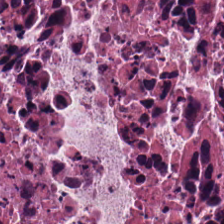Q: What tissue is shown?
A: Cellular debris.
